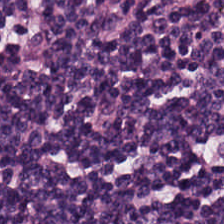Hematoxylin-and-eosin stained section · brightfield.
Q: What is the predominant tissue type?
A: Lymphocyte aggregate.
